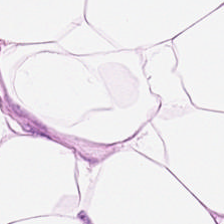FFPE tissue section. H&E-stained tissue section. 0.5 µm/px — Q: What is the predominant tissue type?
A: Adipocytes.
